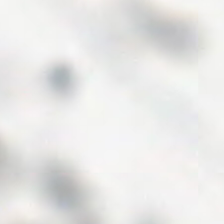0.5 µm/px; hematoxylin-and-eosin stained section.
This field is background (no tissue).
